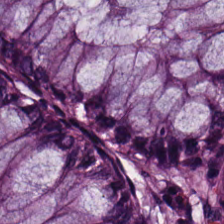Q: What is shown in this field?
A: Normal colonic mucosa.
